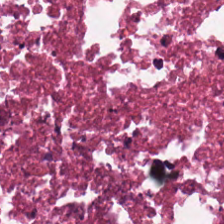Necrotic debris.
